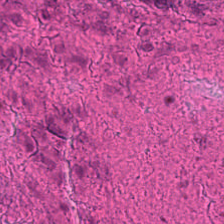H&E-stained tissue section; FFPE tissue section.
The predominant tissue is cellular debris.
